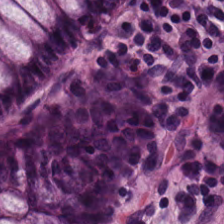FFPE · brightfield microscopy · H&E-stained tissue section.
Showing benign colonic mucosa.
